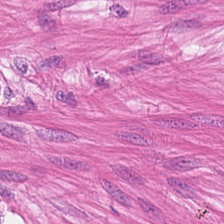H&E stain · WSI patch. Classification = muscularis.
